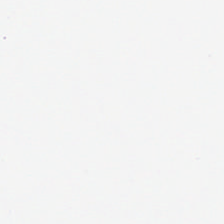Stain: H&E-stained tissue section.
Tile size: 224×224 pixel tile.
Content: empty background.
